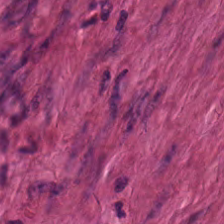H&E stain.
Muscularis.
